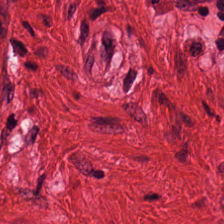Hematoxylin and eosin. This patch shows smooth-muscle tissue.
